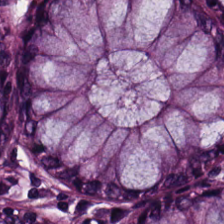Formalin-fixed paraffin-embedded section. WSI patch. H&E-stained tissue section. {"tissue_type": "non-neoplastic colon mucosa"}
